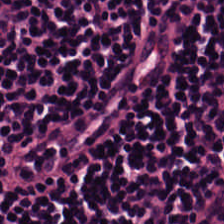Brightfield microscopy · H&E. Histology — lymphocytes.
